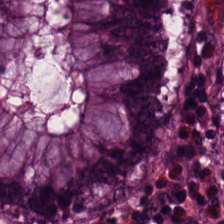Impression — normal colon mucosa.
